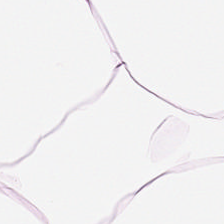H&E-stained tissue section; formalin-fixed paraffin-embedded section.
The tissue here is adipose.
